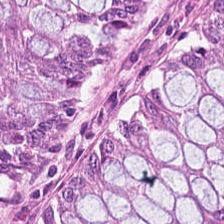H&E.
The tissue here is non-neoplastic colon mucosa.
